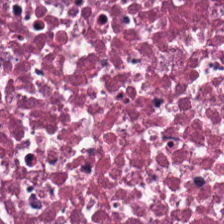Hematoxylin-and-eosin stained section · 0.5 microns per pixel. The classification is cellular debris.
